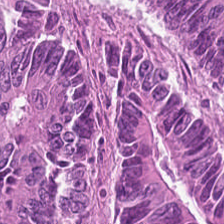This patch shows malignant epithelium.
